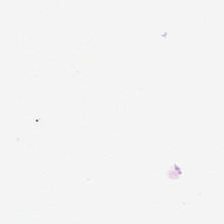Stain: H&E.
Acquisition: WSI patch.
Classification: background.
